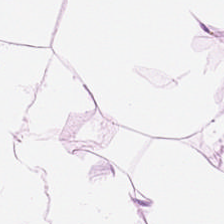Hematoxylin-and-eosin stained section. {"tissue_type": "adipocytes"}
